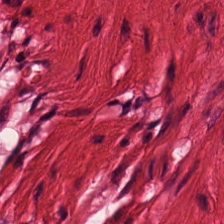H&E stain. Q: What type of tissue is this?
A: This is smooth-muscle tissue.
